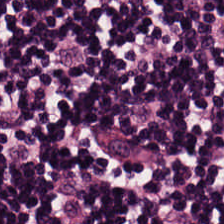The tissue is lymphocytic infiltrate.
